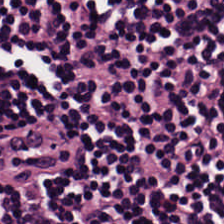0.5 microns per pixel. FFPE. H&E stain. Tissue type = lymphoid infiltrate.
